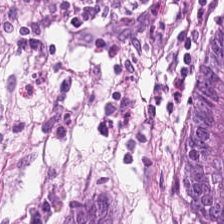H&E-stained tissue section showing benign colonic mucosa.
